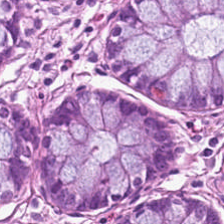224×224 pixel tile · H&E-stained tissue section. Q: Identify the tissue.
A: The field shows normal colon mucosa.
